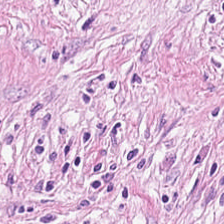Finding — tumor-associated stroma.
